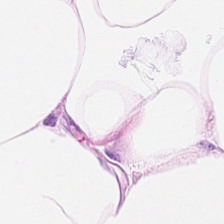Hematoxylin-and-eosin stained section · 224×224 px tile.
Predominant tissue: adipocytes.
